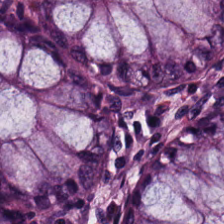Stain: hematoxylin-and-eosin stained section.
Acquisition: brightfield.
Predominant tissue: normal colonic mucosa.
